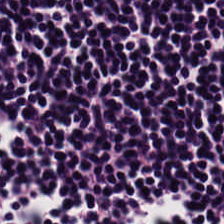0.5 microns per pixel; hematoxylin and eosin; FFPE tissue section. Predominant tissue = lymphocyte aggregate.
